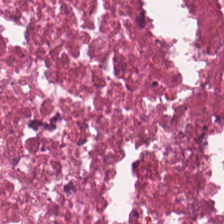Tissue = debris.
